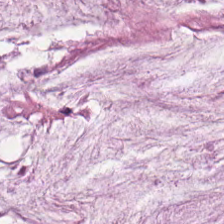Mucin.
